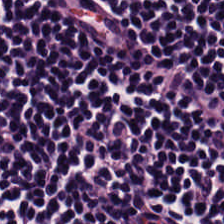Stain: hematoxylin-and-eosin stained section.
Resolution: 0.5 microns per pixel.
Preparation: FFPE tissue section.
Classification: lymphocytes.
